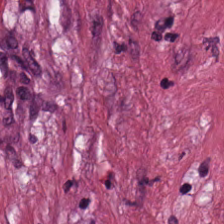H&E-stained tissue section.
Tissue = tumor-associated stroma.
